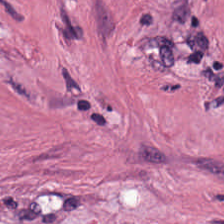H&E; whole-slide-image patch. The tissue class is tumor-associated stroma.
